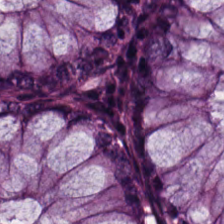Hematoxylin-and-eosin stained section.
Q: Classify this patch.
A: It is normal colonic mucosa.
